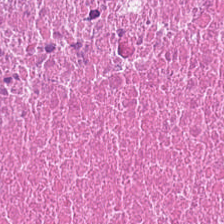H&E.
The tissue is necrotic debris.
